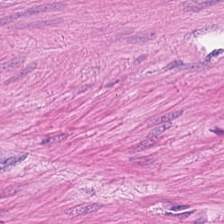H&E stain. FFPE.
Histology → muscularis.
